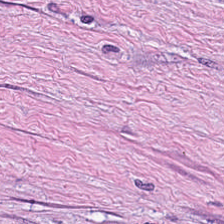H&E. The tissue here is cancer-associated stroma.
